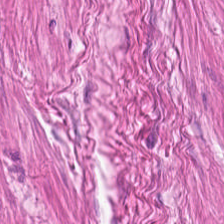224×224 px patch · H&E-stained tissue section — Showing smooth-muscle tissue.
